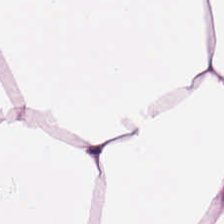H&E stain. Tissue type: adipose.
